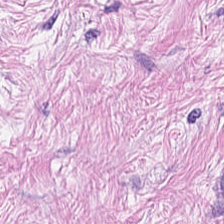Hematoxylin-and-eosin section: desmoplastic stroma.
